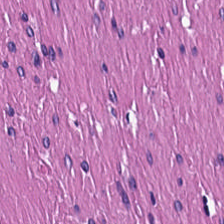Q: What is the predominant tissue type?
A: The field shows smooth muscle.
